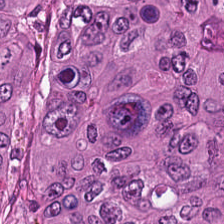Hematoxylin and eosin. This field is malignant epithelium.
